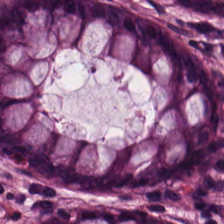Q: What is the predominant tissue type?
A: The field shows benign colonic mucosa.
